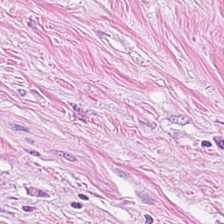H&E.
{"tissue_type": "desmoplastic stroma"}
